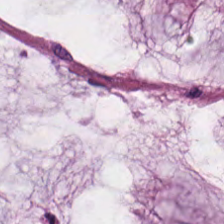Hematoxylin-and-eosin stained section.
Histology → mucus.
